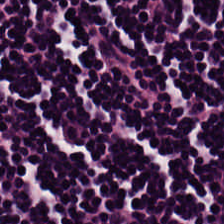0.5 µm/px · H&E · 224×224 px tile. The classification is lymphocyte aggregate.
